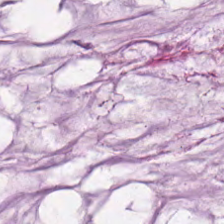H&E — Q: What does this patch show?
A: This is mucus.
